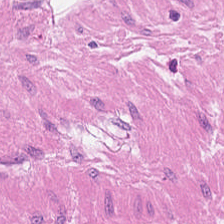Stain: H&E-stained tissue section.
Acquisition: brightfield.
Resolution: 0.5 µm/px.
Classification: muscularis.
